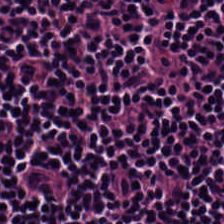WSI patch. 224×224 px patch. H&E — Showing lymphocyte aggregate.
